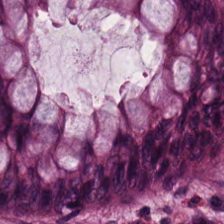Stain: H&E.
Predominant tissue: benign colonic mucosa.
